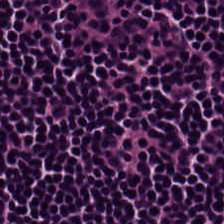H&E stain — Predominant tissue = lymphocytes.
